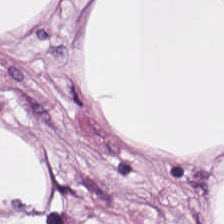20× equivalent magnification; hematoxylin and eosin.
Showing fat tissue.
